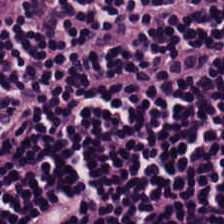H&E-stained tissue section — Histology → lymphoid infiltrate.
